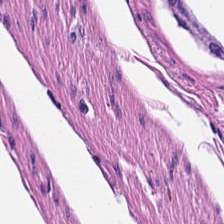Hematoxylin-and-eosin stained section.
Smooth-muscle tissue.
